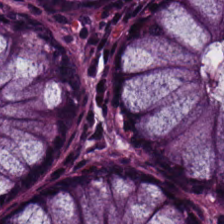Hematoxylin and eosin; 224×224 px tile — Q: What type of tissue is this?
A: This is normal colonic mucosa.
